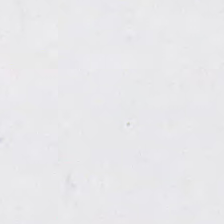H&E-stained tissue section.
Q: What is shown here?
A: This is background (no tissue).
